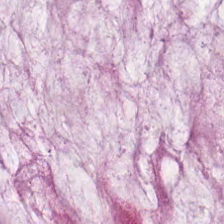Hematoxylin and eosin — Tissue = extracellular mucin.
